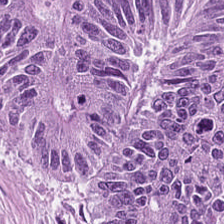Hematoxylin-and-eosin stained section · brightfield microscopy.
This patch shows tumor epithelium.
